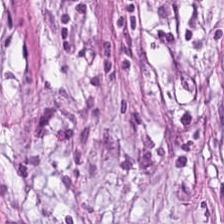Whole-slide-image patch · formalin-fixed paraffin-embedded section · H&E.
{"tissue_type": "cancer-associated stroma"}
